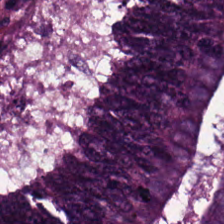H&E · FFPE · 224×224 px patch. Classification = colorectal adenocarcinoma.
